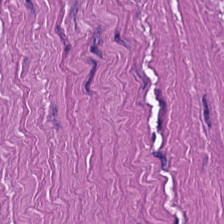H&E-stained tissue section. Formalin-fixed paraffin-embedded section — Finding — smooth-muscle tissue.
